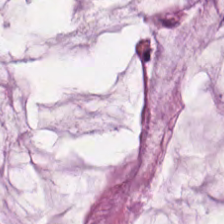FFPE. H&E. 0.5 µm/px — The predominant tissue is mucin.
